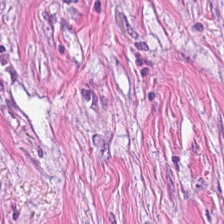The tissue here is desmoplastic stroma.
